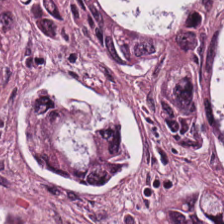Tissue class: malignant epithelium.
